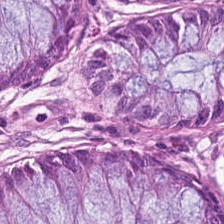{"tissue_type": "benign colonic mucosa"}
